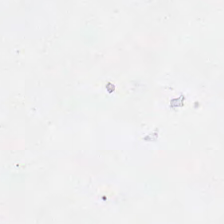Stain: H&E.
Classification: no tissue.
